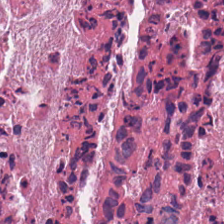Stain: H&E stain.
Tissue: cellular debris.
